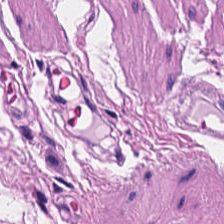H&E — The tissue here is smooth muscle.
